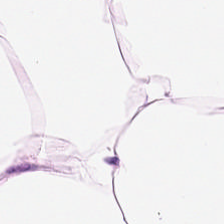Hematoxylin-and-eosin stained section · 0.5 microns per pixel. The predominant tissue is adipocytes.
